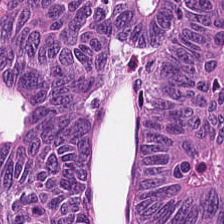Hematoxylin and eosin — Histology — malignant epithelium.
